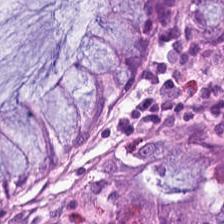Hematoxylin-and-eosin stained section — Showing normal colonic mucosa.
